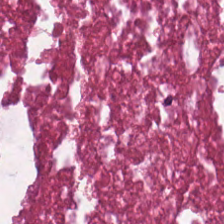The predominant tissue is necrotic debris.
